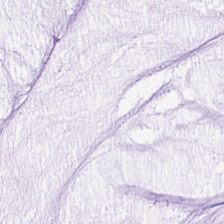Hematoxylin and eosin. 224×224 px patch.
This field is mucin.
